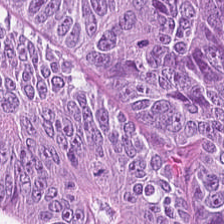H&E stain; 224×224 px patch — This patch shows colorectal adenocarcinoma epithelium.
